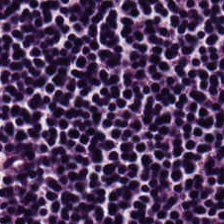Formalin-fixed paraffin-embedded section · 0.5 µm per pixel · hematoxylin and eosin.
Tissue type = lymphocyte aggregate.
